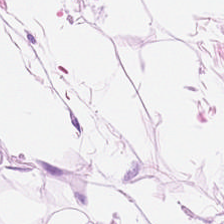H&E-stained tissue section · 224×224 px tile · WSI patch — Tissue: adipocytes.
